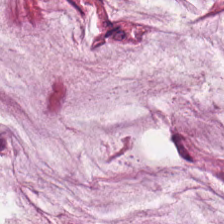{"tissue_type": "mucin"}
